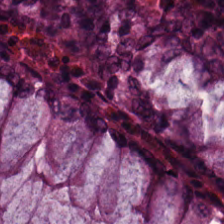0.5 µm per pixel. Hematoxylin-and-eosin stained section. 224×224 pixel tile. Predominant tissue: normal colon mucosa.
